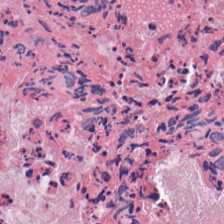WSI patch. H&E stain.
The tissue here is necrotic debris.
